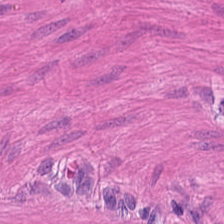Hematoxylin-and-eosin section: muscularis.
